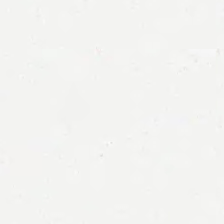0.5 µm/px; FFPE; hematoxylin-and-eosin stained section — Q: What is shown here?
A: The field shows background (no tissue).
